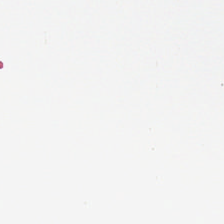H&E-stained tissue section — Empty background.
